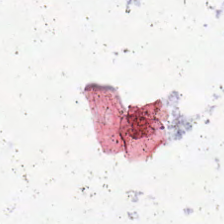H&E-stained tissue section.
This field is background (no tissue).
